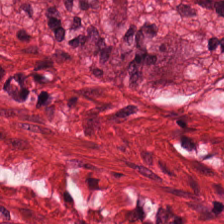H&E stain. Q: What tissue is shown?
A: The field shows smooth muscle.
